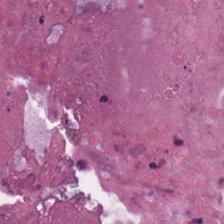224×224 px patch · WSI patch · H&E.
Q: What tissue type is shown here?
A: It is cellular debris.
